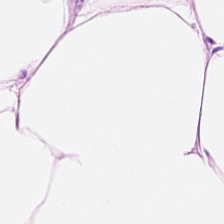Brightfield microscopy. H&E stain — This patch shows fat tissue.
